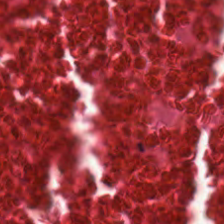Stain: hematoxylin-and-eosin stained section.
Predominant tissue: cellular debris.
